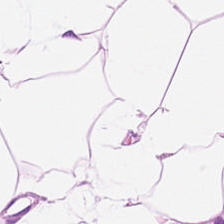H&E-stained tissue section · formalin-fixed paraffin-embedded section · WSI patch. Q: What type of tissue is this?
A: Fat tissue.
